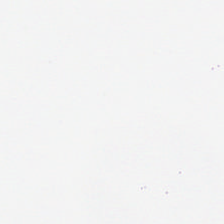H&E; brightfield — Q: What is shown in this field?
A: It is background (no tissue).
